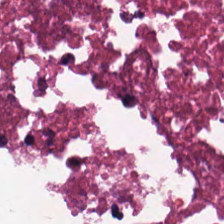Hematoxylin and eosin. Predominantly cellular debris.
